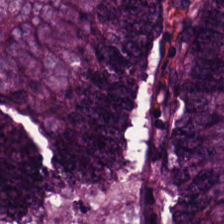Showing tumor epithelium.
